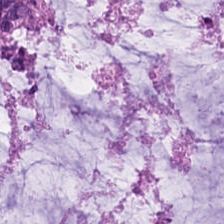224×224 px patch. H&E-stained tissue section — This patch shows extracellular mucin.
